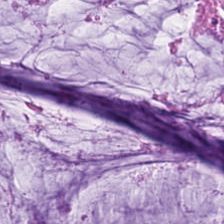Q: What is shown in this field?
A: It is extracellular mucin.
